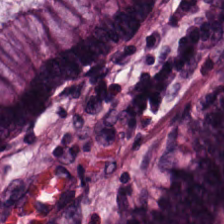Whole-slide-image patch · hematoxylin-and-eosin stained section · 224×224 px tile.
This field is normal colon mucosa.
